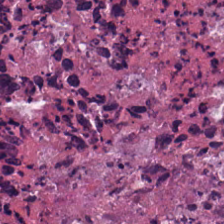The tissue class is debris.
